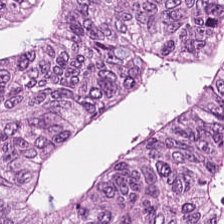Q: What is shown here?
A: The field shows malignant epithelium.
